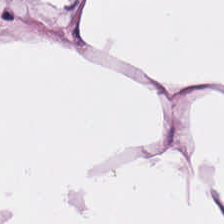Hematoxylin-and-eosin section: adipocytes.
